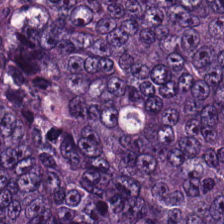224×224 pixel tile; H&E — Q: What type of tissue is this?
A: Malignant epithelium.
